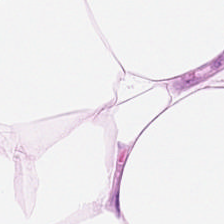WSI patch. 0.5 microns per pixel. Hematoxylin-and-eosin stained section.
Classification = adipose tissue.
